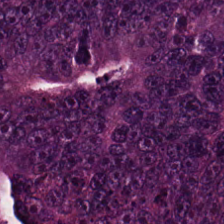Stain: H&E-stained tissue section.
Tissue class: colorectal adenocarcinoma epithelium.
